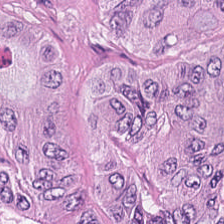Histology — colorectal adenocarcinoma.
